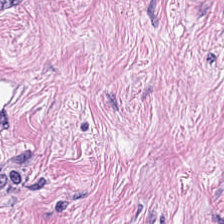Hematoxylin and eosin. Q: What is shown here?
A: This is tumor stroma.
